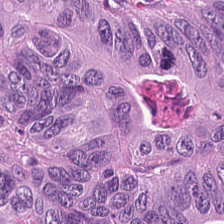Hematoxylin and eosin. {"tissue_type": "colorectal adenocarcinoma"}
